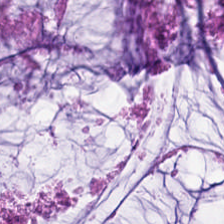H&E-stained tissue section.
Q: What type of tissue is this?
A: It is mucus.
